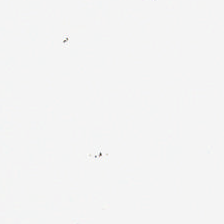The classification is background (no tissue).
